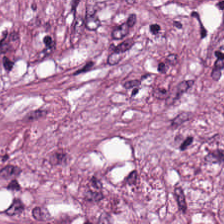Tissue — desmoplastic stroma.
